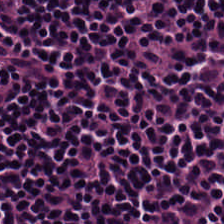Hematoxylin-and-eosin stained section. 0.5 µm per pixel — The tissue here is lymphoid infiltrate.
